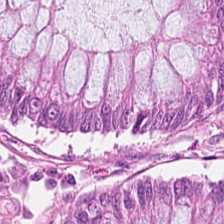H&E.
Finding → benign colonic mucosa.
